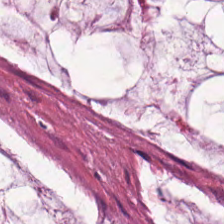Stain: hematoxylin-and-eosin stained section.
Tissue type: mucin.
